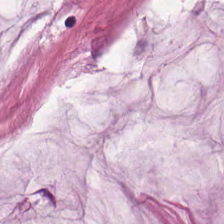H&E stain.
This field is extracellular mucin.
